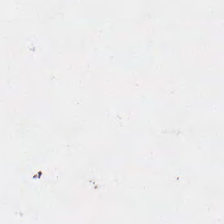H&E stain — The field content is background.
